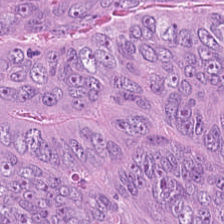Hematoxylin and eosin · FFPE tissue section. Q: What tissue type is shown here?
A: It is colorectal adenocarcinoma.
